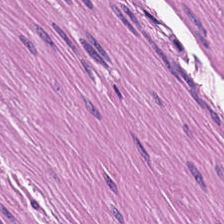Hematoxylin and eosin.
This field is muscularis.
